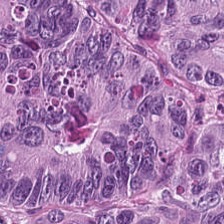H&E patch showing colorectal adenocarcinoma.
